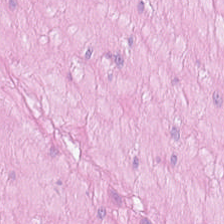H&E · 224×224 pixel tile · WSI patch. Tissue: smooth-muscle tissue.
